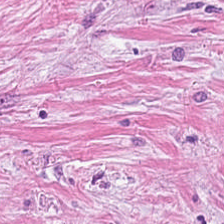Classification — cancer-associated stroma.
